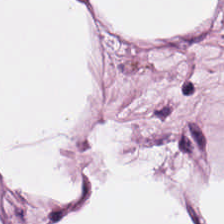224×224 px patch; H&E stain.
Showing fat tissue.
